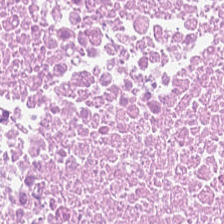H&E. Formalin-fixed paraffin-embedded section. Q: What is shown here?
A: Necrotic debris.
